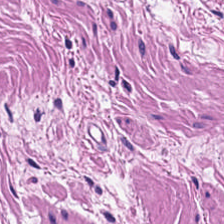Tissue class: smooth-muscle tissue.
